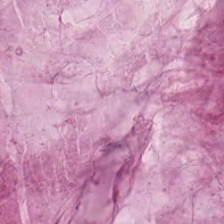Predominant tissue — mucin.
